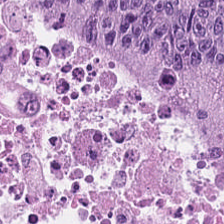0.5 µm per pixel · H&E stain — Finding → tumor epithelium.
